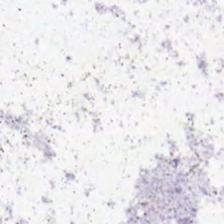H&E-stained tissue section.
Classification = background.
